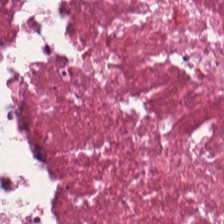Hematoxylin-and-eosin stained section; brightfield microscopy. The tissue here is cellular debris.
